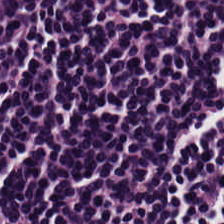Stain: H&E-stained tissue section.
Acquisition: brightfield.
Resolution: 20× equivalent magnification.
Tissue type: lymphoid infiltrate.
